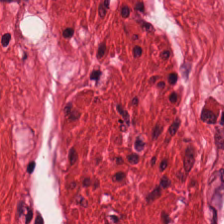Hematoxylin and eosin.
Tissue — muscularis.
